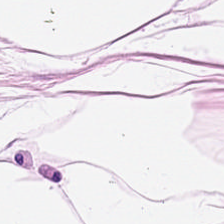Predominant tissue — adipose.
